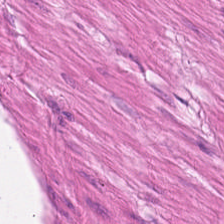H&E-stained tissue section. Tissue: smooth muscle.
